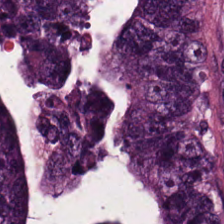FFPE tissue section · 0.5 µm per pixel · hematoxylin and eosin.
Q: What tissue is shown?
A: It is colorectal adenocarcinoma epithelium.
